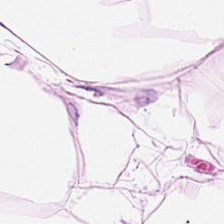Brightfield microscopy · hematoxylin-and-eosin stained section. {"tissue_type": "adipocytes"}
